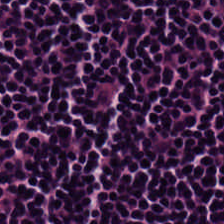{"tissue_type": "lymphocyte aggregate"}
